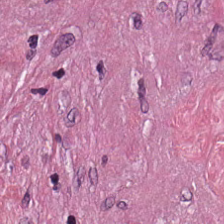Hematoxylin-and-eosin stained section. {"tissue_type": "desmoplastic stroma"}
